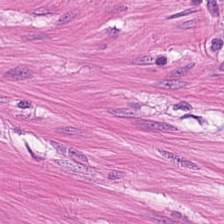Hematoxylin-and-eosin stained section.
Q: What does this patch show?
A: Muscularis.
